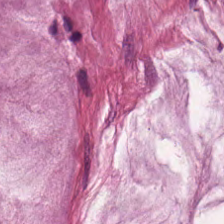H&E-stained tissue section.
Q: Identify the tissue.
A: The field shows extracellular mucin.
